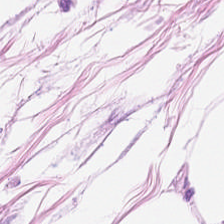20× equivalent magnification; FFPE tissue section; hematoxylin-and-eosin stained section. Q: What is shown in this field?
A: The field shows adipose tissue.
